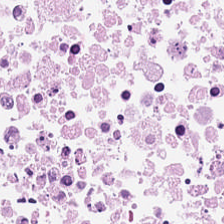Hematoxylin-and-eosin stained section. 0.5 µm/px. Brightfield microscopy. Cellular debris.
